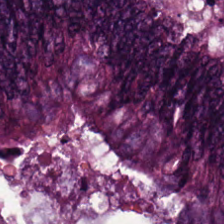Brightfield microscopy · hematoxylin and eosin — Q: What is the predominant tissue type?
A: Tumor epithelium.
